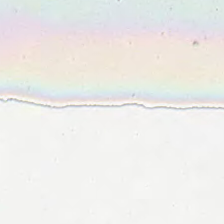Classification = background.
